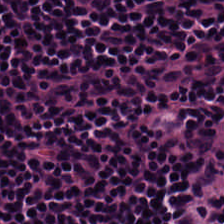{"tissue_type": "lymphocytic infiltrate"}
